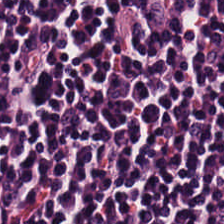Tissue type — lymphocytic infiltrate.
